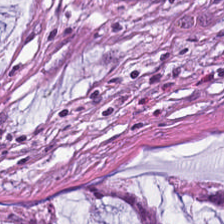Stain: H&E-stained tissue section.
Classification: mucus.
